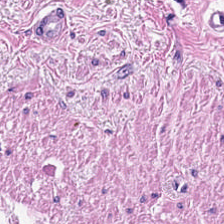H&E patch showing smooth-muscle tissue.
